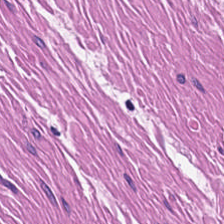Classification: smooth muscle.
